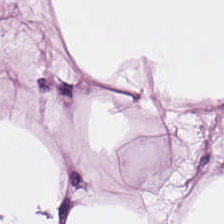Hematoxylin-and-eosin stained section.
This patch shows fat tissue.
